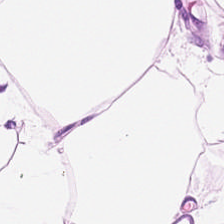H&E-stained tissue section. The predominant tissue is adipocytes.
